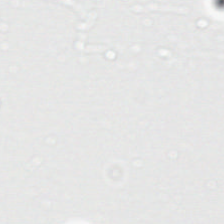H&E — Classification — empty background.
